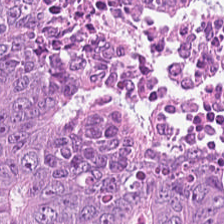Tissue class — colorectal adenocarcinoma epithelium.
